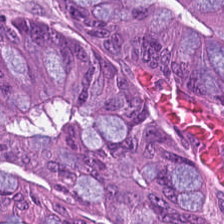H&E-stained tissue section. FFPE tissue section — Tissue = colorectal adenocarcinoma.
